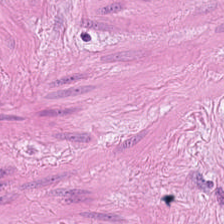H&E. WSI patch — The predominant tissue is smooth muscle.
